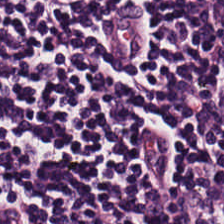Finding → lymphoid infiltrate.
